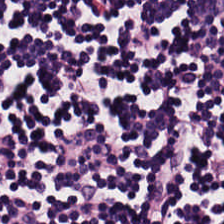Q: What does this patch show?
A: The field shows lymphocytic infiltrate.
